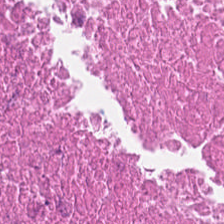FFPE · H&E stain — {"tissue_type": "cellular debris"}
